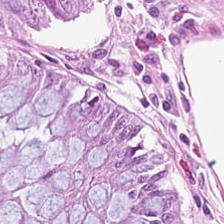224×224 pixel tile · H&E-stained tissue section.
Q: What tissue is shown?
A: It is normal colonic mucosa.
